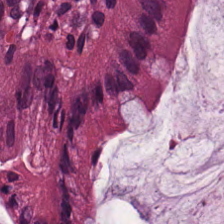Q: Identify the tissue.
A: The field shows normal colonic mucosa.
